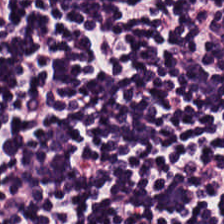FFPE · hematoxylin and eosin · 224×224 px patch. This patch shows lymphocytic infiltrate.
